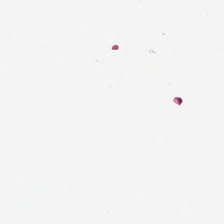Hematoxylin-and-eosin stained section; 0.5 µm per pixel.
Empty field — no tissue.
